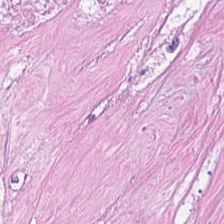Tissue class: cellular debris.
